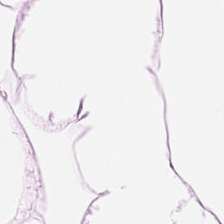Hematoxylin-and-eosin stained section. Formalin-fixed paraffin-embedded section. Brightfield microscopy.
Q: What is shown here?
A: The field shows fat tissue.
